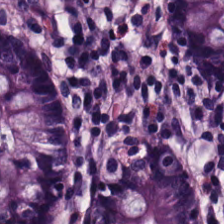Brightfield · H&E stain.
This patch shows benign colonic mucosa.
